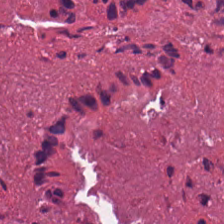Stain: hematoxylin and eosin.
Tissue type: necrotic debris.
